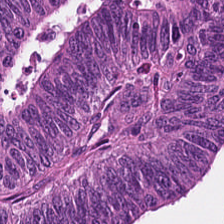Brightfield. H&E.
Q: What type of tissue is this?
A: It is tumor epithelium.
